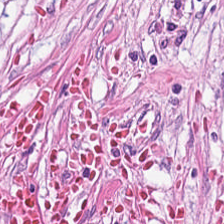Stain: H&E.
Tissue: desmoplastic stroma.
